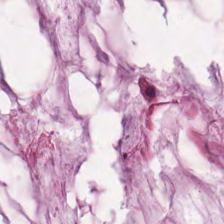20× equivalent magnification; H&E — Q: What tissue is shown?
A: The field shows extracellular mucin.
